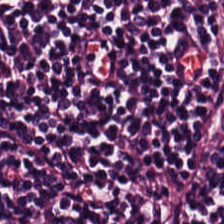H&E-stained tissue section. This patch shows lymphoid infiltrate.
